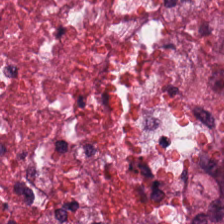WSI patch; 224×224 pixel tile; hematoxylin-and-eosin stained section. Q: What tissue type is shown here?
A: Debris.
